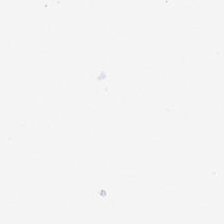Hematoxylin and eosin.
Background — no tissue in this field.
